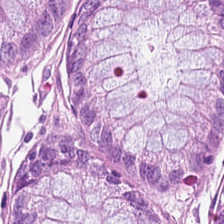Hematoxylin-and-eosin stained section — {"tissue_type": "normal colonic mucosa"}
